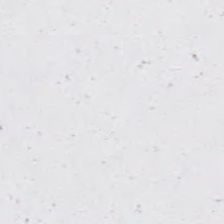Q: What is shown in this field?
A: It is background.
